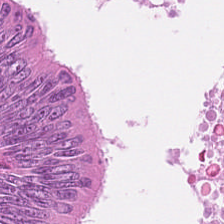H&E stain; 0.5 µm/px — This field is tumor epithelium.
